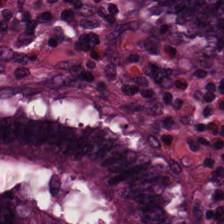20× equivalent magnification. Hematoxylin and eosin.
Predominant tissue: normal colonic mucosa.
